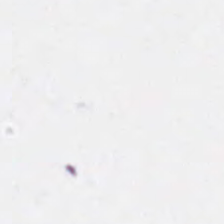H&E-stained tissue section. Classification — background (no tissue).
